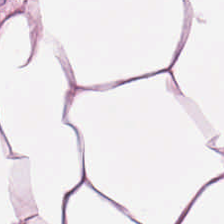H&E-stained tissue section.
Tissue type — fat tissue.
